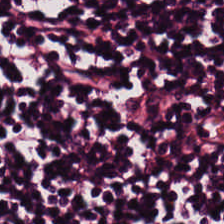H&E stain. {"tissue_type": "lymphocytes"}
